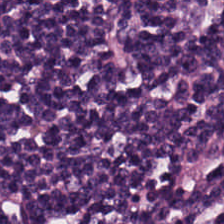H&E stain. Whole-slide-image patch. The predominant tissue is lymphoid infiltrate.
